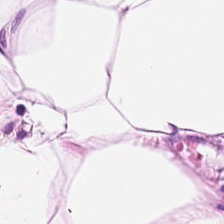Stain: H&E.
Tissue class: fat tissue.
